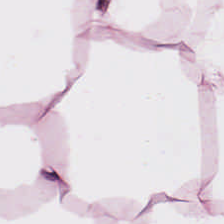Stain: H&E stain.
Tissue type: fat tissue.
